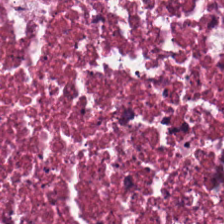H&E-stained tissue section. The classification is necrotic debris.
